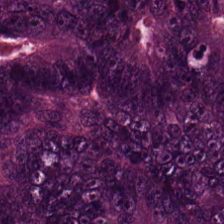Hematoxylin and eosin — Tissue class — adenocarcinoma.
